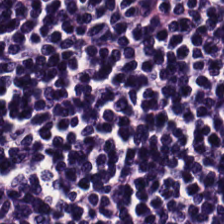H&E-stained tissue section — The tissue class is lymphocytic infiltrate.
